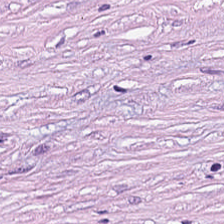Stain: H&E.
Tissue class: tumor stroma.
